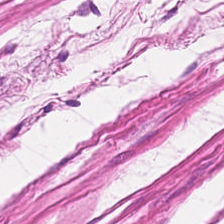H&E-stained tissue section. FFPE.
Q: What does this patch show?
A: It is smooth-muscle tissue.
